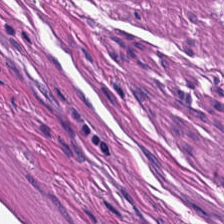0.5 microns per pixel; H&E stain; 224×224 px tile. Tissue class: smooth muscle.
